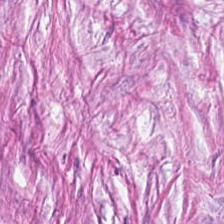H&E stain; 20× equivalent magnification; FFPE tissue section — This field is cancer-associated stroma.
